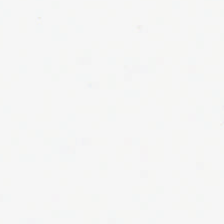This field is background (no tissue).
